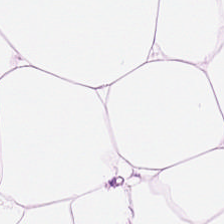Hematoxylin-and-eosin section: adipocytes.
